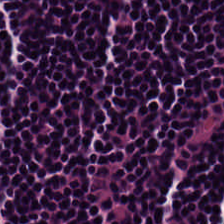Stain: H&E.
Tissue class: lymphocytic infiltrate.
